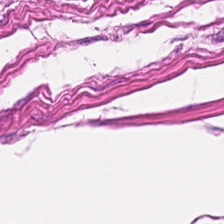Stain: H&E.
Tissue class: muscularis.
